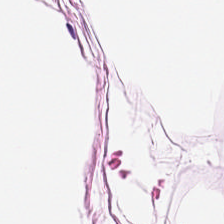Hematoxylin and eosin — Tissue — adipose.
